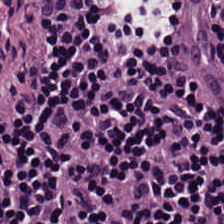Histology → lymphocyte aggregate.
